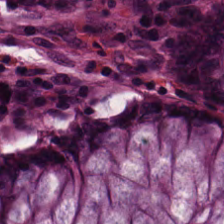224×224 px tile. 0.5 µm per pixel. H&E.
This field is normal colonic mucosa.
